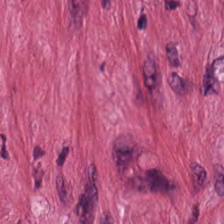H&E · 0.5 µm/px. This field is tumor stroma.
